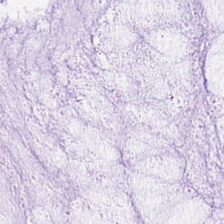224×224 pixel tile. H&E. Whole-slide-image patch. The predominant tissue is mucin.
